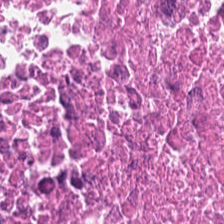Q: Identify the tissue.
A: Cellular debris.
